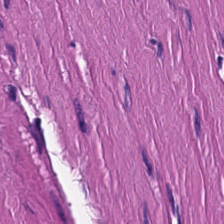Brightfield. Hematoxylin and eosin — Impression → smooth muscle.
